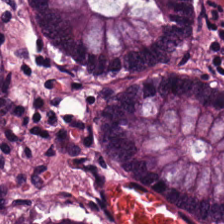Q: What is shown here?
A: It is normal colon mucosa.
